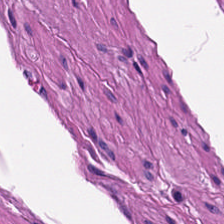Stain: hematoxylin-and-eosin stained section.
Acquisition: WSI patch.
Preparation: FFPE.
Classification: smooth muscle.
